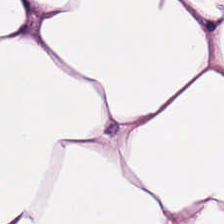Fat tissue.
